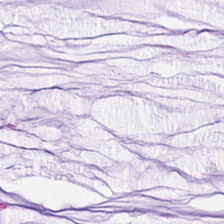Stain: H&E.
Predominant tissue: mucin.
